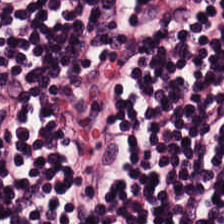H&E.
Impression → lymphocyte aggregate.
